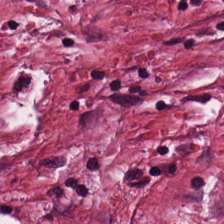H&E patch showing tumor stroma.
